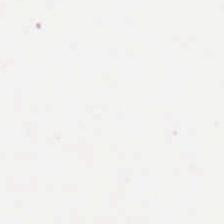Hematoxylin and eosin. Q: What is shown in this field?
A: It is empty background.
